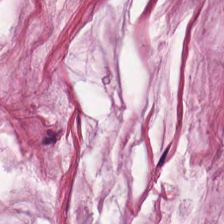H&E stain; WSI patch. Predominantly extracellular mucin.
